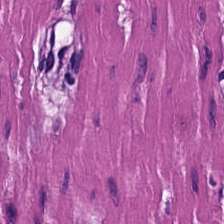Hematoxylin and eosin.
{"tissue_type": "smooth muscle"}
